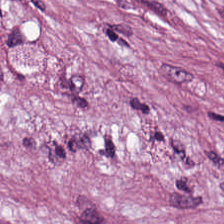Showing tumor stroma.
